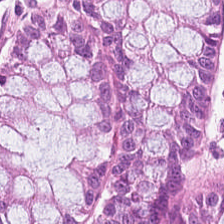Q: What does this patch show?
A: The field shows normal colonic mucosa.
